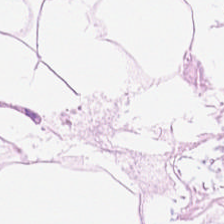Predominant tissue = fat tissue.
